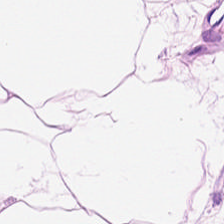FFPE tissue section; hematoxylin-and-eosin stained section — Impression → adipose.
